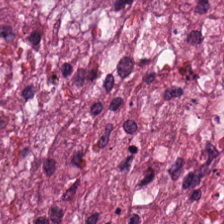H&E-stained tissue section — The tissue is necrotic debris.
